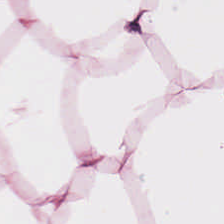0.5 microns per pixel. Hematoxylin-and-eosin stained section — The tissue here is adipocytes.
